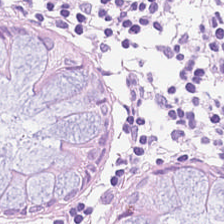Formalin-fixed paraffin-embedded section. Hematoxylin-and-eosin stained section. 224×224 px patch.
Q: What is shown here?
A: Normal colonic mucosa.
